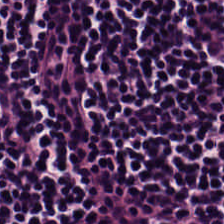{"tissue_type": "lymphoid infiltrate"}
